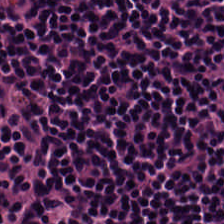Q: Identify the tissue.
A: It is lymphocyte aggregate.
